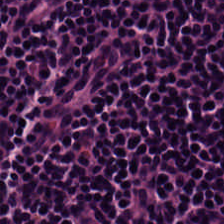Q: Identify the tissue.
A: This is lymphoid infiltrate.
